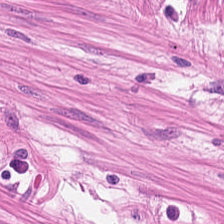Hematoxylin and eosin — Tissue type = smooth muscle.
